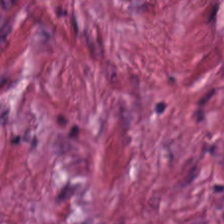H&E-stained tissue section · 224×224 pixel tile. Showing tumor-associated stroma.
